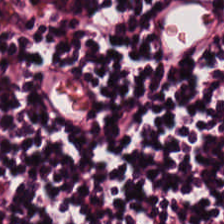H&E-stained tissue section. The predominant tissue is lymphocyte aggregate.
